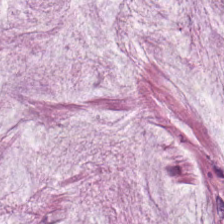Stain: H&E-stained tissue section.
Tissue type: extracellular mucin.
